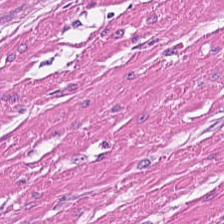224×224 px patch. 0.5 microns per pixel. Hematoxylin-and-eosin stained section. The predominant tissue is smooth muscle.
